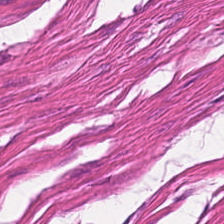H&E-stained tissue section. Brightfield microscopy.
Q: What tissue is shown?
A: Muscularis.
